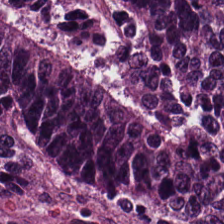Stain: H&E.
Tile size: 224×224 px tile.
Tissue type: colorectal adenocarcinoma epithelium.
